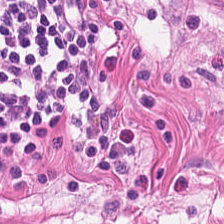The predominant tissue is smooth muscle.
